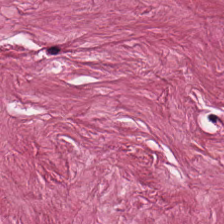H&E-stained tissue section — Tissue type — tumor-associated stroma.
